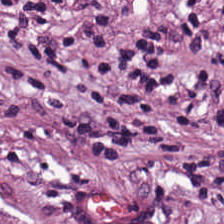20× equivalent magnification; brightfield; H&E-stained tissue section — This patch shows tumor-associated stroma.
